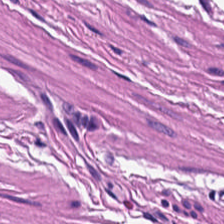H&E stain.
Predominantly smooth muscle.
